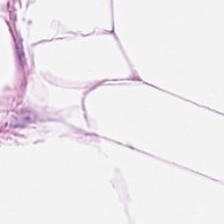Q: What type of tissue is this?
A: It is fat tissue.
